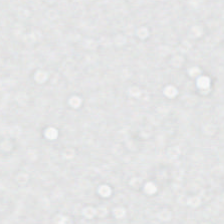H&E · formalin-fixed paraffin-embedded section.
Classification = background (no tissue).
